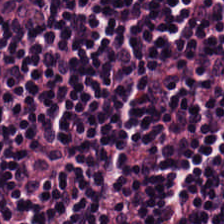Hematoxylin-and-eosin stained section — This field is lymphocyte aggregate.
